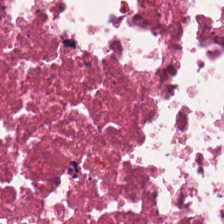FFPE tissue section. Hematoxylin-and-eosin stained section. Q: What type of tissue is this?
A: It is cellular debris.
